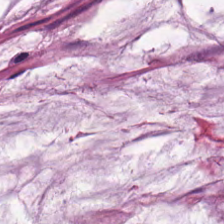Hematoxylin-and-eosin stained section.
This patch shows mucus.
